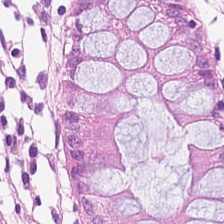{"tissue_type": "benign colonic mucosa"}
